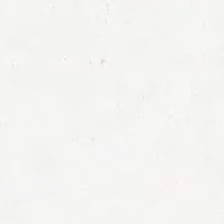Stain: H&E.
Field content: no tissue.
